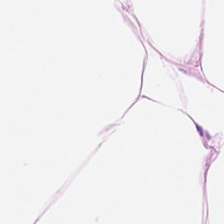224×224 px tile. FFPE tissue section. H&E stain.
Classification — fat tissue.
